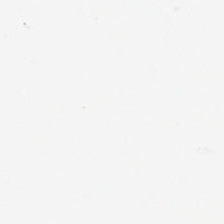The classification is no tissue.
